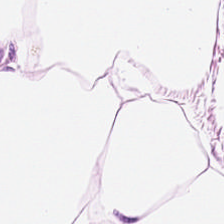Predominant tissue: adipose.
